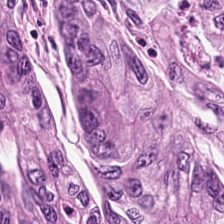H&E.
Impression — tumor epithelium.
